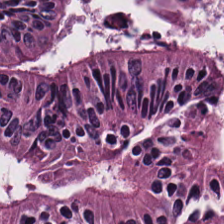H&E stain. Tissue type — tumor epithelium.
